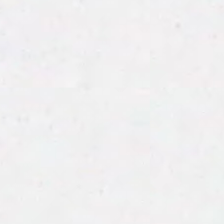0.5 µm per pixel · hematoxylin and eosin. Background — no tissue in this field.
